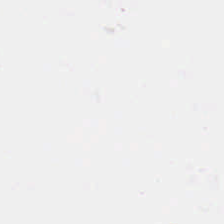H&E-stained tissue section — Classification — empty background.
